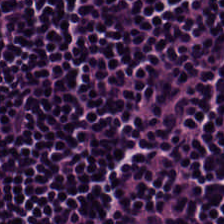FFPE · H&E · 224×224 px tile.
Q: What tissue type is shown here?
A: This is lymphocytes.
